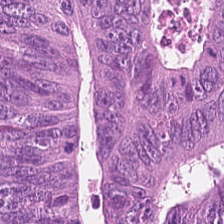Hematoxylin and eosin; WSI patch. Tissue class — malignant epithelium.
